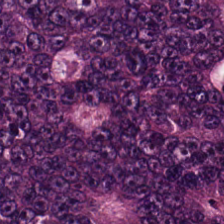0.5 µm per pixel. Hematoxylin and eosin.
Q: What tissue is shown?
A: Malignant epithelium.
